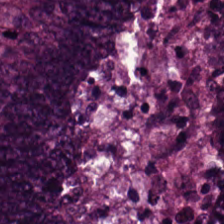Hematoxylin-and-eosin stained section; whole-slide-image patch; FFPE.
Tissue type: malignant epithelium.
